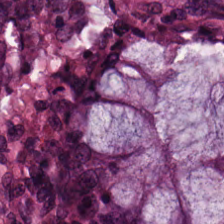224×224 px patch. Hematoxylin-and-eosin stained section — The predominant tissue is normal colonic mucosa.
